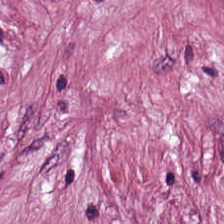0.5 µm per pixel. Hematoxylin-and-eosin stained section. FFPE tissue section — {"tissue_type": "tumor stroma"}
